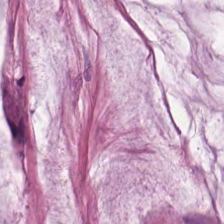Hematoxylin-and-eosin stained section; 20× equivalent magnification — The classification is mucus.
